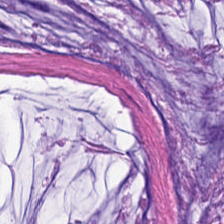H&E-stained tissue section.
The tissue type is mucus.
